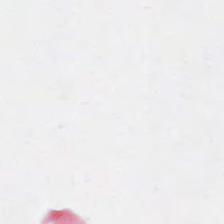H&E-stained tissue section — This field is background (no tissue).
